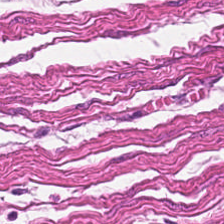H&E patch showing muscularis.
